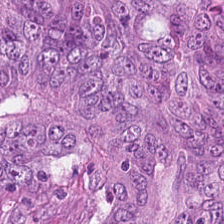Stain: H&E.
Tissue: colorectal adenocarcinoma epithelium.
